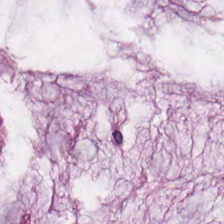Stain: hematoxylin-and-eosin stained section.
Resolution: 0.5 µm per pixel.
Tissue: mucin.
